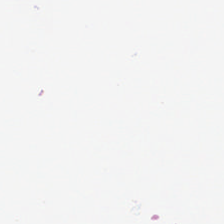Background.
